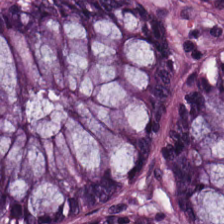Stain: hematoxylin and eosin.
Classification: normal colon mucosa.
